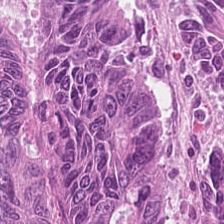0.5 µm per pixel. H&E.
Q: What tissue type is shown here?
A: Malignant epithelium.
